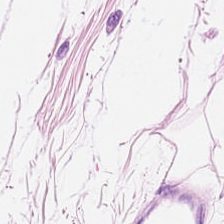224×224 px patch; FFPE tissue section; hematoxylin-and-eosin stained section.
Predominant tissue = adipose.
